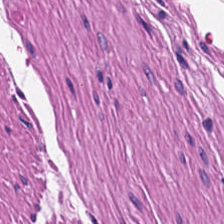H&E patch showing muscularis.
